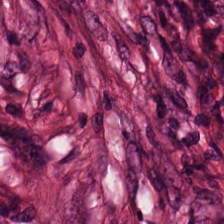224×224 px tile · WSI patch · H&E-stained tissue section. The predominant tissue is desmoplastic stroma.
